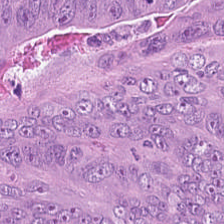Hematoxylin-and-eosin stained section. Tissue type = colorectal adenocarcinoma.
